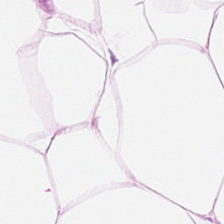Finding — adipose.
